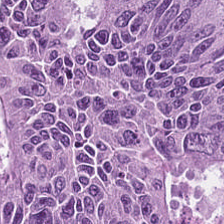0.5 µm per pixel · hematoxylin-and-eosin stained section — Colorectal adenocarcinoma epithelium.
